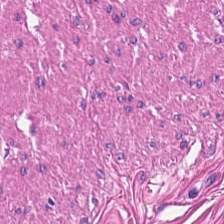H&E stain — Histology → muscularis.
